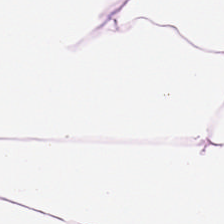Tissue type — adipose.
